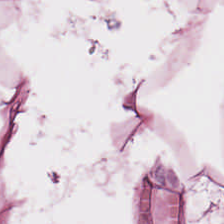Stain: H&E.
Tile size: 224×224 pixel tile.
Preparation: formalin-fixed paraffin-embedded section.
Tissue: adipose tissue.
